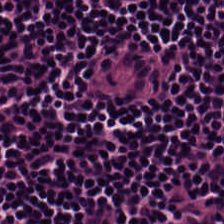Formalin-fixed paraffin-embedded section; H&E.
Q: What is shown here?
A: It is lymphoid infiltrate.
